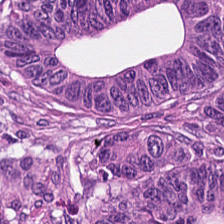Stain: hematoxylin-and-eosin stained section.
Acquisition: WSI patch.
Classification: tumor epithelium.
